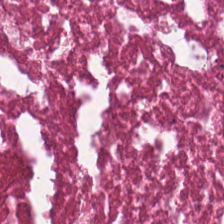0.5 µm per pixel · formalin-fixed paraffin-embedded section · hematoxylin and eosin. Finding — cellular debris.
